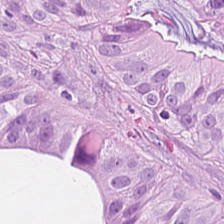H&E-stained tissue section; FFPE tissue section; brightfield microscopy.
The tissue here is colorectal adenocarcinoma epithelium.
